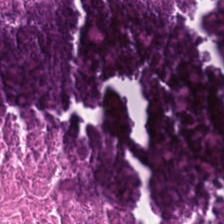Whole-slide-image patch · 224×224 px patch · hematoxylin-and-eosin stained section.
Showing necrotic debris.
